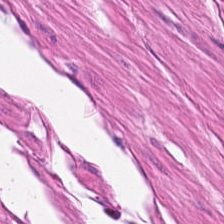Stain: H&E-stained tissue section.
Tissue: smooth-muscle tissue.
